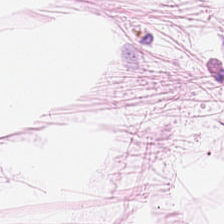H&E stain. This field is adipocytes.
